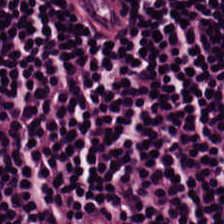H&E.
Q: Classify this patch.
A: It is lymphocytic infiltrate.
